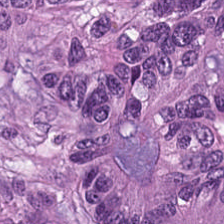H&E stain · WSI patch — This field is tumor epithelium.
